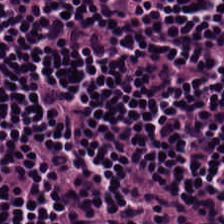H&E-stained tissue section. Lymphoid infiltrate.
